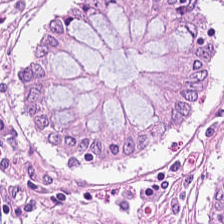H&E-stained tissue section. FFPE. Brightfield — Predominant tissue = normal colonic mucosa.
